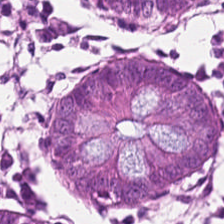Hematoxylin-and-eosin stained section.
{"tissue_type": "benign colonic mucosa"}
